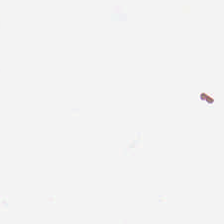WSI patch. Hematoxylin-and-eosin stained section — This patch shows background (no tissue).
